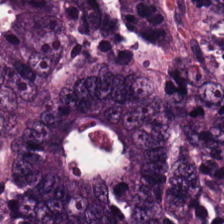Q: What tissue type is shown here?
A: This is colorectal adenocarcinoma.
